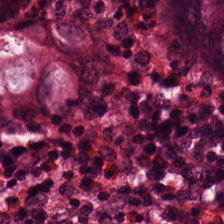Hematoxylin-and-eosin stained section — Predominantly normal colon mucosa.
